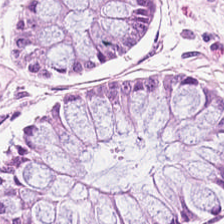H&E; 0.5 µm per pixel — The tissue type is normal colonic mucosa.
